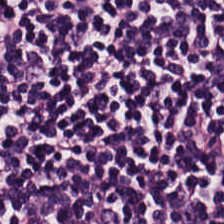Brightfield. Hematoxylin-and-eosin stained section — The tissue here is lymphocytic infiltrate.
